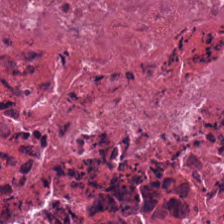Hematoxylin and eosin; 0.5 µm per pixel.
{"tissue_type": "necrotic debris"}
